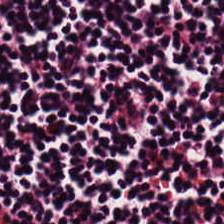The tissue here is lymphocytic infiltrate.
